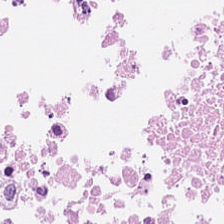Hematoxylin and eosin; 224×224 pixel tile. This field is necrotic debris.
